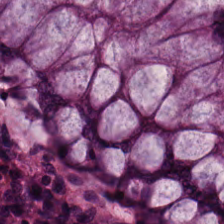Hematoxylin and eosin. FFPE tissue section. Q: What type of tissue is this?
A: It is non-neoplastic colon mucosa.
